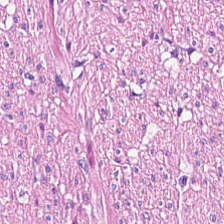Hematoxylin and eosin.
Classification: muscularis.
